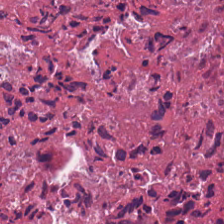Q: What type of tissue is this?
A: It is debris.
